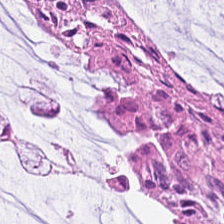Stain: H&E stain.
Classification: normal colon mucosa.
